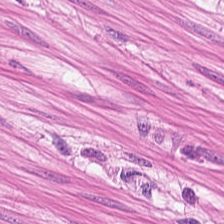H&E · 224×224 pixel tile · FFPE tissue section.
Showing smooth muscle.
